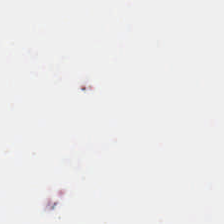Hematoxylin and eosin. The field content is no tissue.
